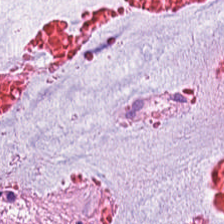H&E stain.
This patch shows mucin.
